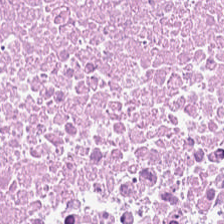Hematoxylin and eosin; 224×224 pixel tile.
This field is cellular debris.
